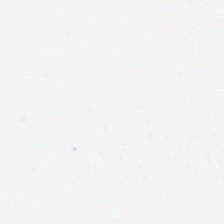H&E; 20× equivalent magnification. This patch shows empty background.
